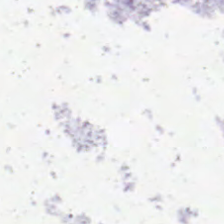H&E stain. 0.5 µm per pixel. FFPE tissue section. Q: What is shown here?
A: Empty background.
